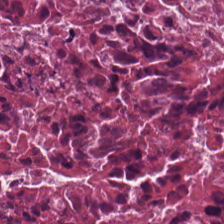Classification: debris.
